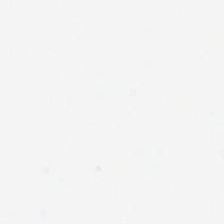WSI patch · H&E — {"content": "background (no tissue)"}
